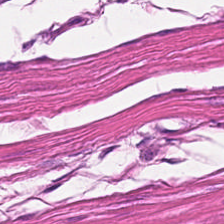Hematoxylin and eosin — This patch shows smooth-muscle tissue.
